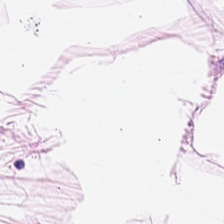H&E — Showing fat tissue.
